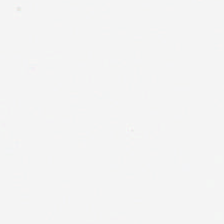Hematoxylin and eosin.
Q: What is shown here?
A: Background.
